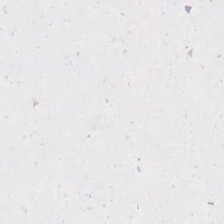0.5 µm per pixel · H&E stain. Histology — background.
